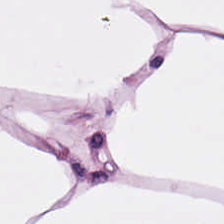Brightfield microscopy; H&E stain. Q: What is shown in this field?
A: It is adipocytes.
